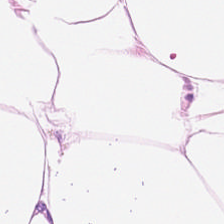Tissue class — adipose tissue.
